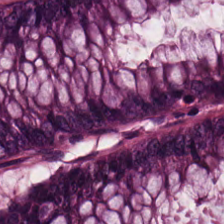FFPE tissue section · H&E-stained tissue section — The tissue class is non-neoplastic colon mucosa.
